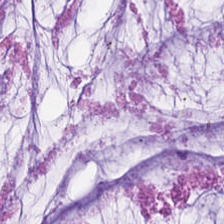H&E stain · 0.5 µm/px. Tissue — mucus.
